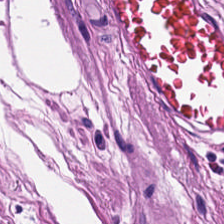Smooth-muscle tissue.
